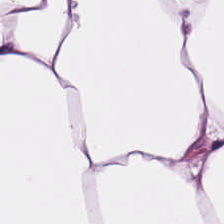H&E — fat tissue.
